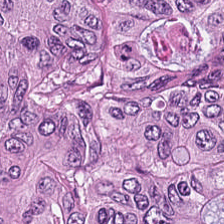The predominant tissue is adenocarcinoma.
